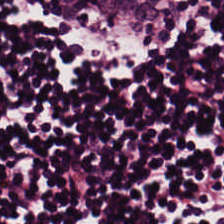224×224 pixel tile; hematoxylin-and-eosin stained section; FFPE. Predominant tissue: lymphocytes.
